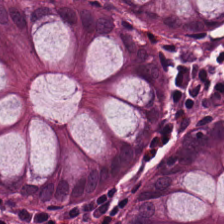Hematoxylin and eosin. The tissue class is normal colon mucosa.
